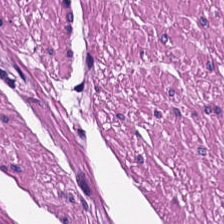H&E patch showing smooth muscle.
